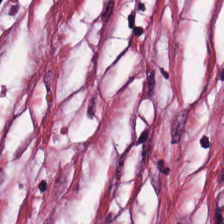Hematoxylin and eosin — Showing tumor-associated stroma.
